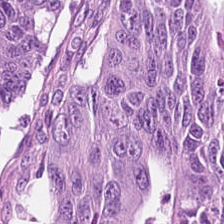Hematoxylin and eosin — Q: What tissue type is shown here?
A: It is tumor epithelium.
